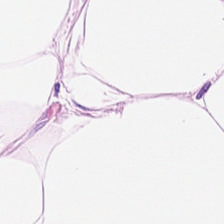H&E-stained section; the field shows adipocytes.
